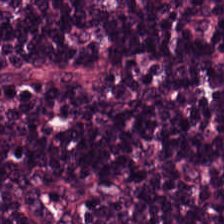Hematoxylin and eosin — Impression — lymphocytes.
